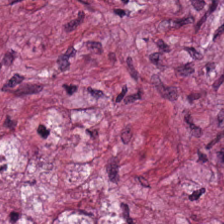Tissue class = tumor-associated stroma.
